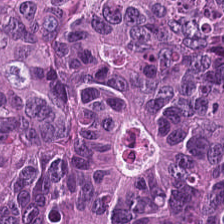Brightfield; H&E stain — This field is adenocarcinoma.
